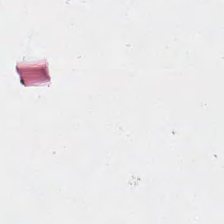Brightfield. H&E stain. 20× equivalent magnification.
Empty background.
